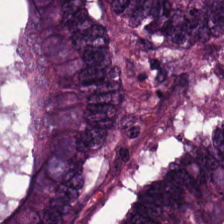224×224 px tile. H&E stain. Brightfield microscopy.
Q: What is shown in this field?
A: It is malignant epithelium.
